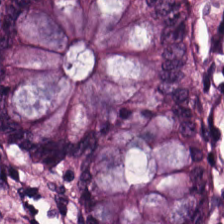H&E stain — Tissue class: normal colonic mucosa.
